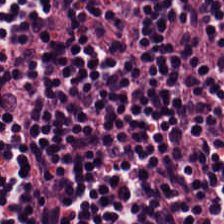H&E stain.
Showing lymphoid infiltrate.
